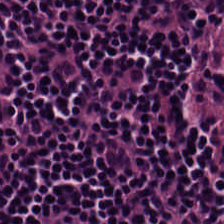Stain: H&E stain.
Tissue: lymphocytic infiltrate.
